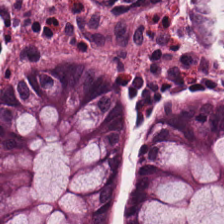224×224 pixel tile · H&E. Tissue type — normal colonic mucosa.
